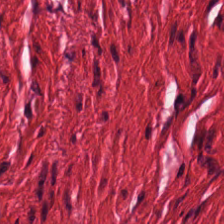Hematoxylin and eosin. FFPE — The tissue is muscularis.
